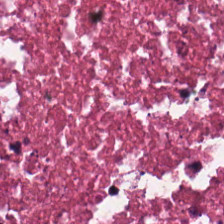Whole-slide-image patch; 0.5 microns per pixel; H&E stain — {"tissue_type": "cellular debris"}
